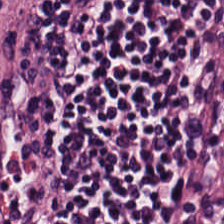H&E-stained tissue section. Lymphocytic infiltrate.
